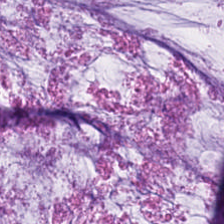Hematoxylin-and-eosin stained section.
The tissue class is mucin.
